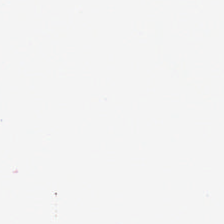Stain: hematoxylin-and-eosin stained section.
Field content: background.
